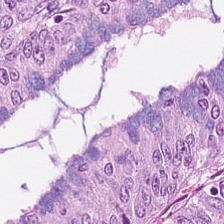H&E-stained tissue section — Q: Identify the tissue.
A: This is colorectal adenocarcinoma epithelium.
